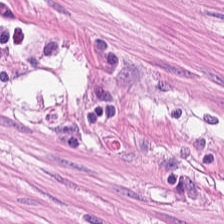Stain: H&E-stained tissue section.
Tile size: 224×224 px patch.
Tissue: smooth-muscle tissue.
